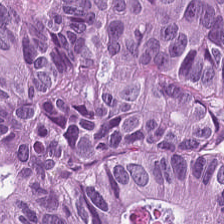20× equivalent magnification. Hematoxylin-and-eosin stained section. FFPE.
Tissue type = colorectal adenocarcinoma epithelium.
